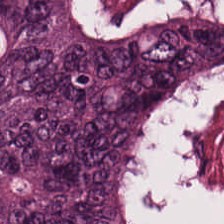Hematoxylin and eosin. Classification = colorectal adenocarcinoma.
